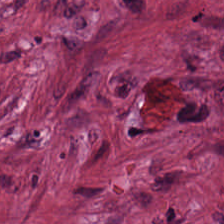Hematoxylin-and-eosin stained section.
This field is tumor-associated stroma.
